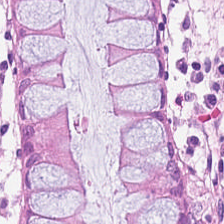Hematoxylin and eosin.
Impression → normal colonic mucosa.
